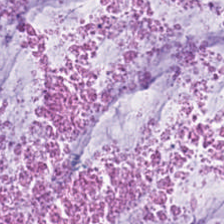H&E. {"tissue_type": "extracellular mucin"}
